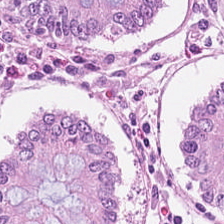0.5 µm per pixel. Hematoxylin-and-eosin stained section. This field is non-neoplastic colon mucosa.
